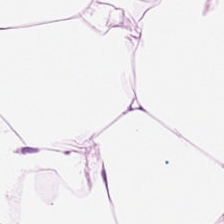224×224 px tile; hematoxylin and eosin; brightfield.
Adipose tissue.
